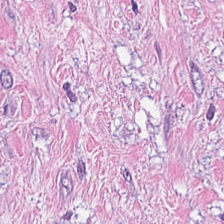0.5 microns per pixel. H&E-stained tissue section — Tissue type: tumor-associated stroma.
